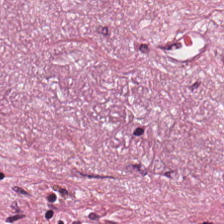H&E; 0.5 microns per pixel; whole-slide-image patch — The predominant tissue is cancer-associated stroma.
